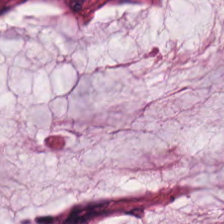Hematoxylin and eosin — Q: What is shown in this field?
A: Extracellular mucin.
